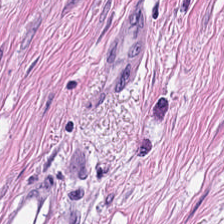Stain: H&E stain.
Predominant tissue: smooth-muscle tissue.
